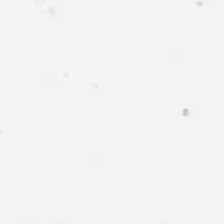{"content": "background"}
